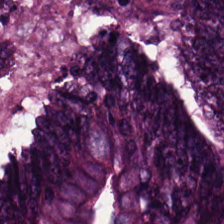FFPE tissue section · H&E stain · 0.5 µm per pixel. Tissue: tumor epithelium.
